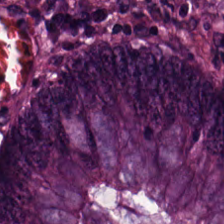H&E stain — The tissue here is colorectal adenocarcinoma epithelium.
